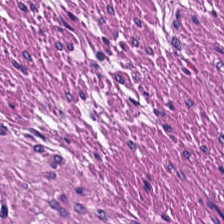Q: Identify the tissue.
A: The field shows smooth-muscle tissue.
